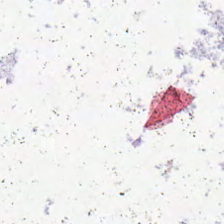H&E-stained tissue section. Empty field — background.
